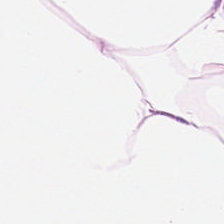224×224 pixel tile; 20× equivalent magnification; hematoxylin-and-eosin stained section. This field is adipose.
